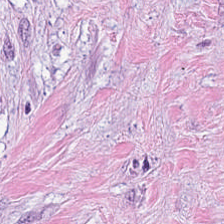H&E · 20× equivalent magnification. Q: What is shown here?
A: It is cancer-associated stroma.
